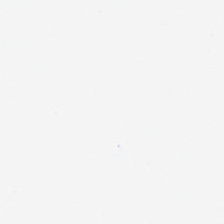Hematoxylin-and-eosin stained section. Background — no tissue in this field.
